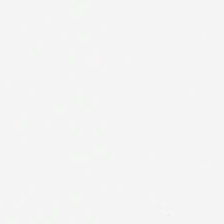H&E stain.
Q: What does this patch show?
A: It is empty background.
